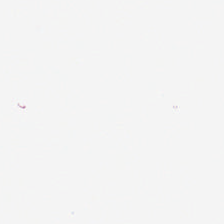H&E. Finding — empty background.
